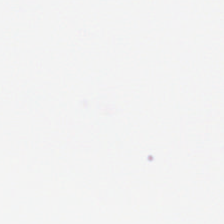Hematoxylin and eosin; brightfield microscopy. Empty field — background (no tissue).
